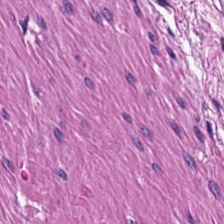H&E stain.
Predominant tissue = smooth muscle.
